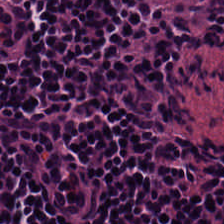Whole-slide-image patch; 224×224 px patch; H&E-stained tissue section — This patch shows lymphocyte aggregate.
